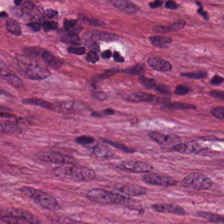H&E — Q: What does this patch show?
A: The field shows tumor-associated stroma.
